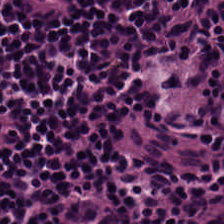Hematoxylin-and-eosin stained section · 224×224 px tile · 20× equivalent magnification — {"tissue_type": "lymphocytic infiltrate"}
